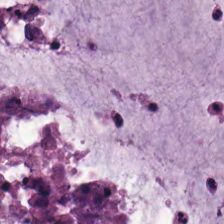Hematoxylin-and-eosin stained section — Q: What is shown in this field?
A: This is extracellular mucin.
